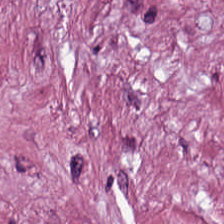Predominantly tumor-associated stroma.
